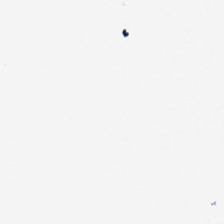H&E; WSI patch — No tissue present; background only.
